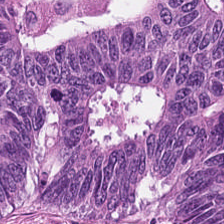Formalin-fixed paraffin-embedded section. 20× equivalent magnification. Hematoxylin-and-eosin stained section. Q: Identify the tissue.
A: It is adenocarcinoma.
